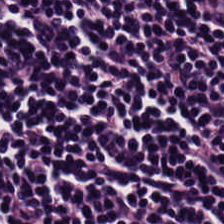The predominant tissue is lymphocytes.
